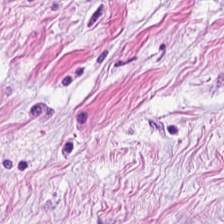224×224 pixel tile · WSI patch · H&E.
{"tissue_type": "cancer-associated stroma"}
